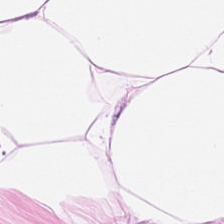Hematoxylin-and-eosin stained section. Brightfield. 0.5 µm/px. This field is adipose.
